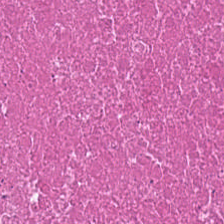Stain: hematoxylin and eosin.
Tissue class: necrotic debris.
